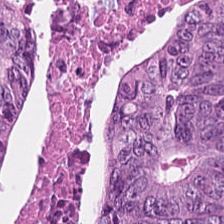224×224 px patch. Hematoxylin-and-eosin stained section — This field is adenocarcinoma.
